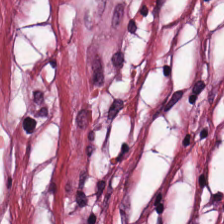Hematoxylin-and-eosin stained section. {"tissue_type": "tumor stroma"}
